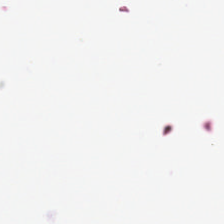Whole-slide-image patch; H&E.
Background.
